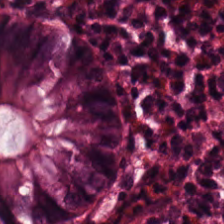H&E · 0.5 microns per pixel · 224×224 px tile.
The classification is normal colon mucosa.
